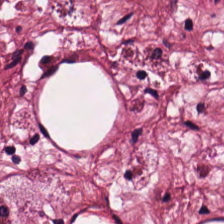H&E-stained tissue section; 224×224 px patch.
Q: What is the predominant tissue type?
A: It is tumor stroma.
